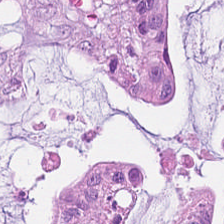Hematoxylin-and-eosin stained section.
Predominant tissue = mucus.
